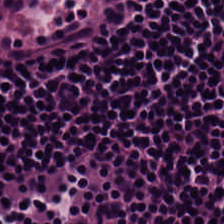224×224 px patch. Brightfield microscopy. Hematoxylin and eosin.
The predominant tissue is lymphocytes.
